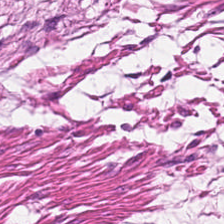H&E stain. Predominantly muscularis.
